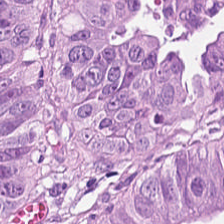H&E-stained tissue section showing tumor epithelium.
